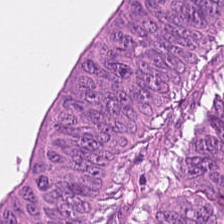H&E-stained section; the field shows adenocarcinoma.
